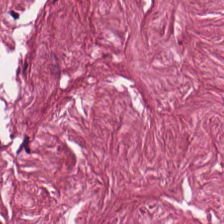Tissue type = tumor stroma.
